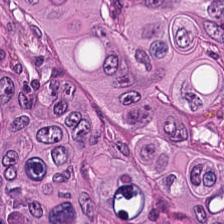Hematoxylin-and-eosin stained section. Q: What tissue type is shown here?
A: This is malignant epithelium.
